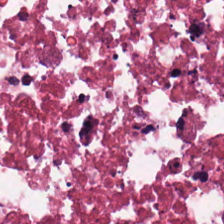Tissue — necrotic debris.
